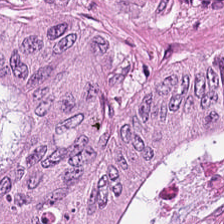The predominant tissue is malignant epithelium.
